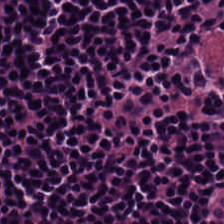H&E-stained tissue section. FFPE tissue section. WSI patch — Q: What tissue type is shown here?
A: It is lymphocytic infiltrate.
